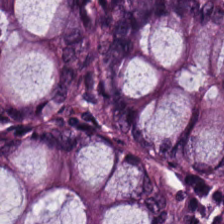Q: What type of tissue is this?
A: The field shows non-neoplastic colon mucosa.
